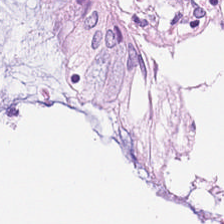H&E stain · 224×224 px patch. The tissue here is non-neoplastic colon mucosa.
